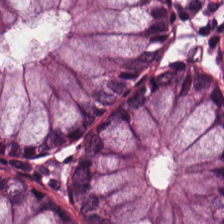H&E · formalin-fixed paraffin-embedded section — Histology → benign colonic mucosa.
